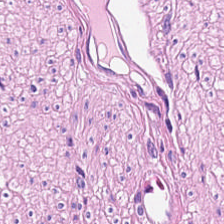H&E stain — The classification is smooth-muscle tissue.
